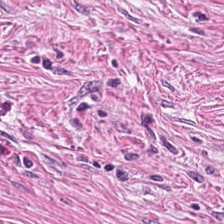H&E. Showing tumor stroma.
